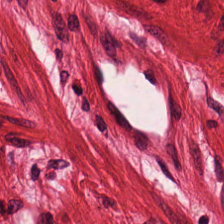Stain: H&E.
Tissue: muscularis.
